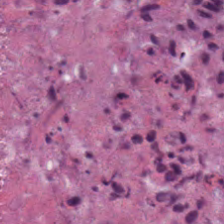Hematoxylin-and-eosin stained section.
{"tissue_type": "necrotic debris"}
